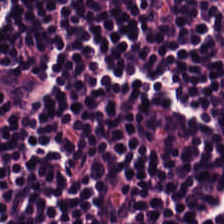Stain: H&E-stained tissue section.
Tissue: lymphocytes.
